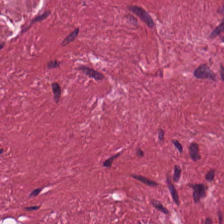Stain: H&E stain.
Classification: cancer-associated stroma.
